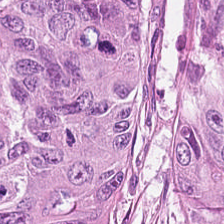H&E stain. This field is adenocarcinoma.
